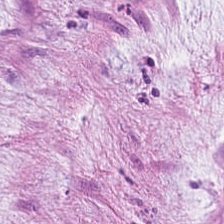FFPE · H&E-stained tissue section. The tissue is mucus.
